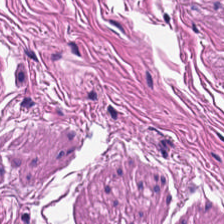H&E stain · 0.5 microns per pixel. Classification = muscularis.
